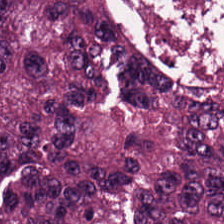Hematoxylin and eosin; 0.5 µm per pixel; 224×224 pixel tile.
Impression — adenocarcinoma.
